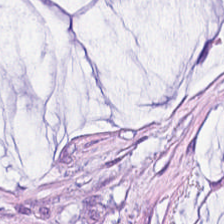H&E stain. 0.5 µm/px.
Q: Identify the tissue.
A: Mucin.
